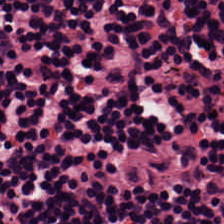Stain: hematoxylin-and-eosin stained section.
Tile size: 224×224 px tile.
Classification: lymphocyte aggregate.
